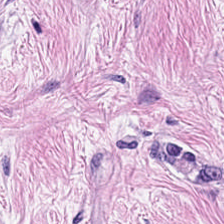Hematoxylin and eosin. {"tissue_type": "tumor stroma"}
